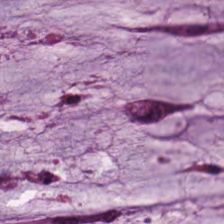0.5 µm/px; H&E.
Q: What type of tissue is this?
A: The field shows mucin.
